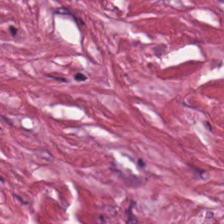Hematoxylin-and-eosin stained section; 20× equivalent magnification.
Finding — tumor stroma.
